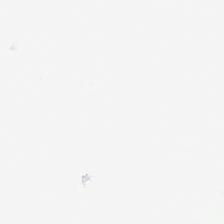Stain: H&E.
Classification: no tissue.
